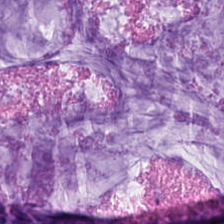Formalin-fixed paraffin-embedded section. H&E stain — {"tissue_type": "extracellular mucin"}
